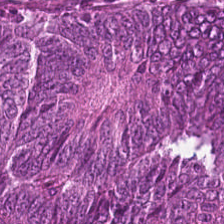The tissue class is colorectal adenocarcinoma epithelium.
